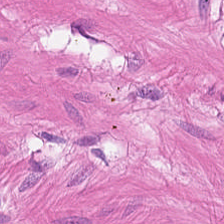H&E stain. 224×224 px tile. 0.5 µm per pixel — Q: What is shown in this field?
A: The field shows smooth-muscle tissue.
